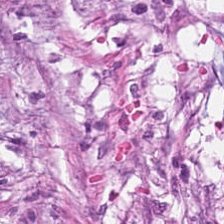H&E — Predominant tissue — tumor-associated stroma.
